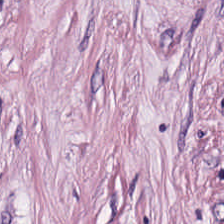Hematoxylin-and-eosin stained section. Formalin-fixed paraffin-embedded section. Showing tumor-associated stroma.
